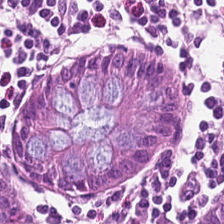{"tissue_type": "normal colonic mucosa"}
